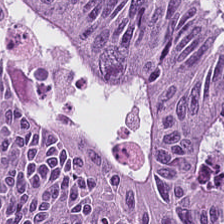H&E. FFPE.
The predominant tissue is colorectal adenocarcinoma.
